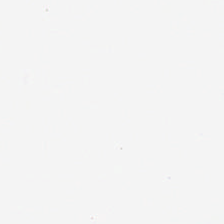Stain: H&E stain.
Preparation: FFPE.
Classification: background (no tissue).
